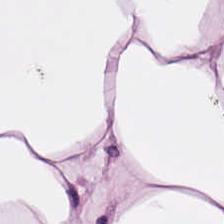Hematoxylin-and-eosin stained section.
The classification is fat tissue.
